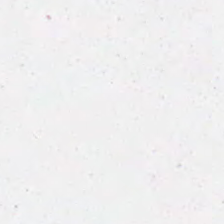No tissue.
